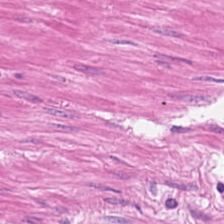H&E stain. Histology — smooth muscle.
